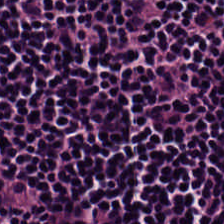Impression — lymphoid infiltrate.
